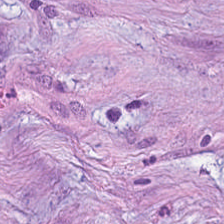H&E stain — Impression → tumor-associated stroma.
